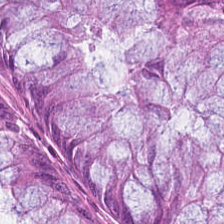224×224 px patch · H&E-stained tissue section · whole-slide-image patch. {"tissue_type": "benign colonic mucosa"}
